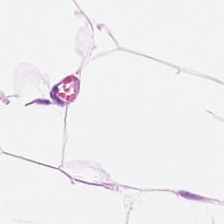H&E. Q: What does this patch show?
A: The field shows adipose tissue.
